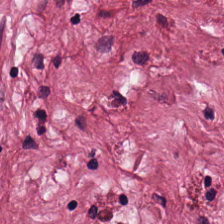H&E stain — {"tissue_type": "tumor-associated stroma"}
